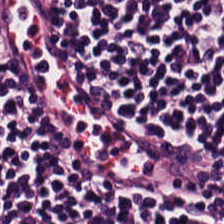Tissue class: lymphocytes.
